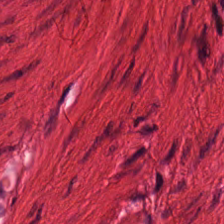Hematoxylin-and-eosin section: smooth muscle.
